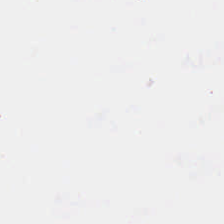Impression → background.
